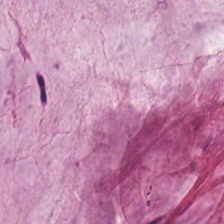Hematoxylin-and-eosin stained section. Showing extracellular mucin.
